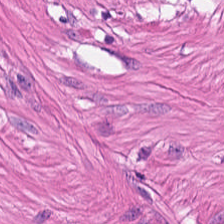H&E-stained tissue section. This field is smooth-muscle tissue.
